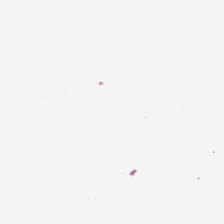H&E-stained tissue section. Brightfield microscopy. Formalin-fixed paraffin-embedded section.
Classification = background (no tissue).
